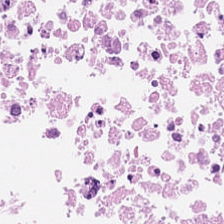Hematoxylin-and-eosin stained section.
This patch shows cellular debris.
